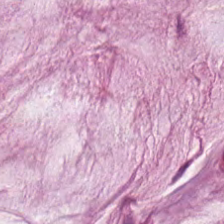H&E-stained tissue section — The tissue here is mucus.
